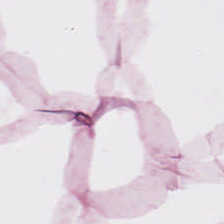H&E stain — Tissue — adipocytes.
